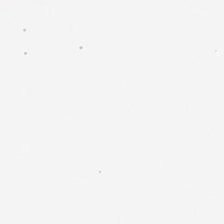Hematoxylin and eosin. No tissue present; background only.
